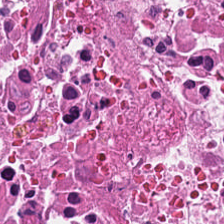Hematoxylin-and-eosin stained section. {"tissue_type": "cellular debris"}
